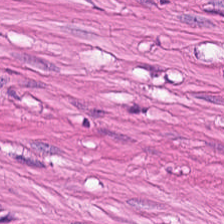Hematoxylin and eosin · 224×224 px tile — This field is muscularis.
